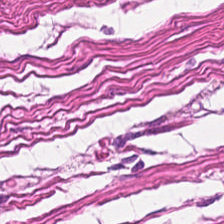H&E-stained tissue section. Brightfield microscopy — Tissue = muscularis.
